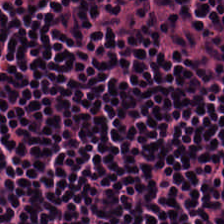Hematoxylin-and-eosin stained section · 0.5 microns per pixel.
This patch shows lymphocytes.
